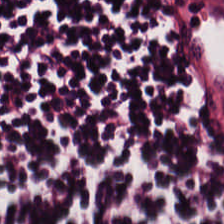20× equivalent magnification. Hematoxylin-and-eosin stained section. Finding → lymphoid infiltrate.
